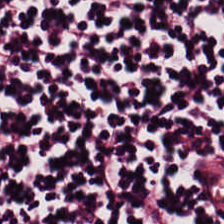H&E-stained tissue section · 224×224 px tile · 0.5 µm per pixel — Finding — lymphoid infiltrate.
